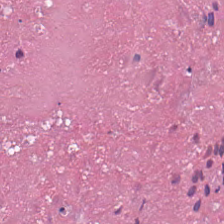H&E-stained tissue section. Q: What tissue is shown?
A: The field shows cellular debris.
